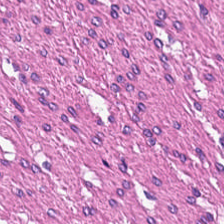H&E-stained tissue section; 0.5 microns per pixel; 224×224 pixel tile — Tissue type — muscularis.
